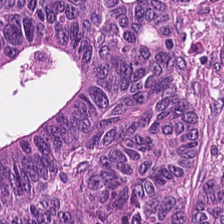H&E stain — Tissue class: tumor epithelium.
